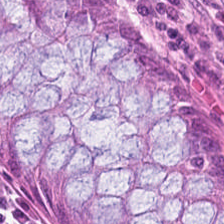H&E-stained tissue section. Brightfield. The tissue is normal colon mucosa.
